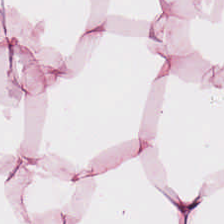Hematoxylin-and-eosin stained section. Predominant tissue — adipose tissue.
